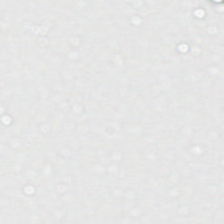WSI patch. Hematoxylin-and-eosin stained section.
Impression → empty background.
